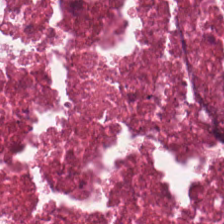Hematoxylin-and-eosin stained section. Histology → necrotic debris.
